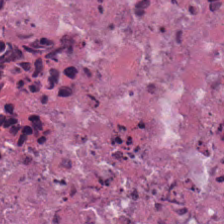The tissue here is cellular debris.
